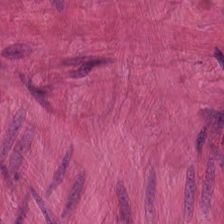H&E stain — Tissue type — smooth muscle.
